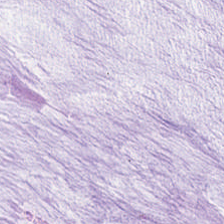H&E stain.
Classification — mucus.
